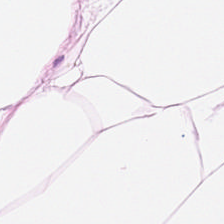H&E-stained tissue section. This field is fat tissue.
